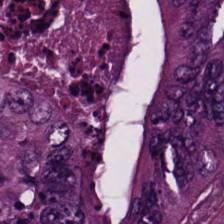H&E-stained tissue section. 224×224 px patch. Impression — colorectal adenocarcinoma epithelium.
